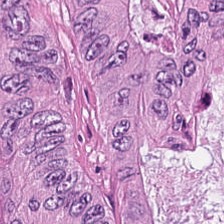Stain: H&E-stained tissue section.
Acquisition: brightfield microscopy.
Resolution: 0.5 microns per pixel.
Tissue: tumor epithelium.
